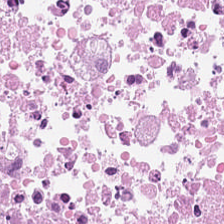H&E; whole-slide-image patch; 224×224 px patch.
Predominantly debris.
